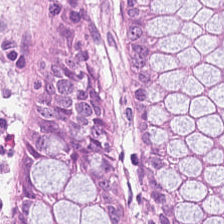Hematoxylin and eosin. Q: Identify the tissue.
A: It is normal colon mucosa.
